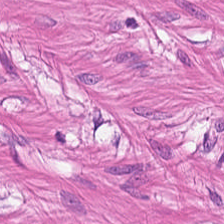{"tissue_type": "smooth muscle"}
